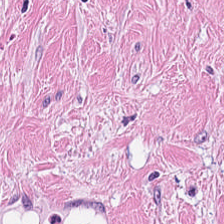Stain: hematoxylin and eosin.
Classification: cancer-associated stroma.
